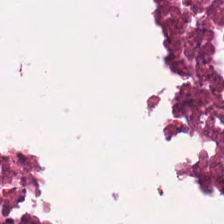H&E stain. Brightfield microscopy — This patch shows necrotic debris.
